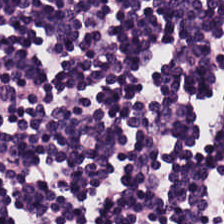Hematoxylin-and-eosin stained section; 0.5 µm/px; brightfield microscopy. The tissue here is lymphocytic infiltrate.
